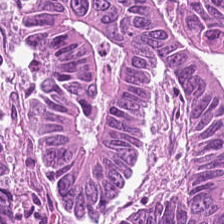H&E.
The tissue here is colorectal adenocarcinoma.
